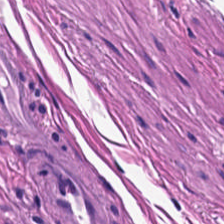Hematoxylin and eosin.
Predominantly smooth muscle.
